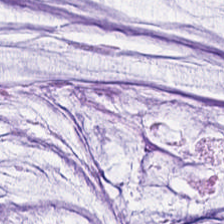Stain: H&E stain.
Tissue: mucin.
